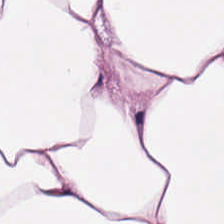20× equivalent magnification. H&E-stained tissue section — Impression — adipose.
